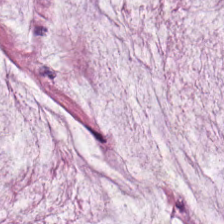The predominant tissue is extracellular mucin.
